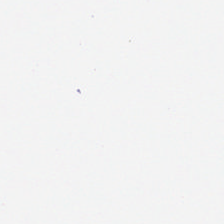Stain: hematoxylin and eosin.
Resolution: 0.5 microns per pixel.
Classification: background (no tissue).
